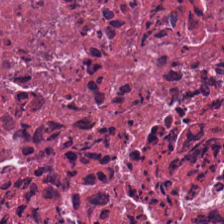Hematoxylin and eosin; WSI patch. Q: What tissue is shown?
A: Cellular debris.
